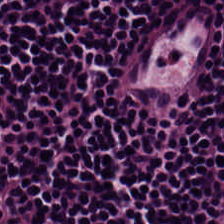FFPE · hematoxylin-and-eosin stained section · brightfield. Histology — lymphocytes.
